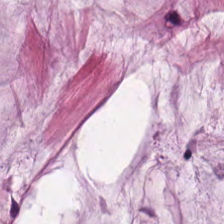The tissue is extracellular mucin.
